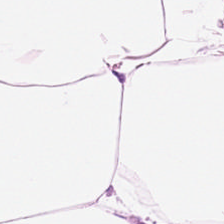H&E-stained tissue section.
Impression → adipose.
